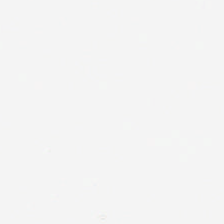H&E stain. 0.5 µm per pixel.
Q: What is shown in this field?
A: Empty background.
